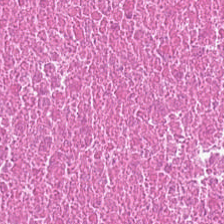H&E-stained tissue section — Predominant tissue: necrotic debris.
